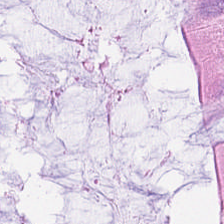H&E. 0.5 µm per pixel. Q: Classify this patch.
A: Normal colon mucosa.
